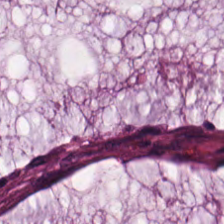H&E — Tissue: mucus.
